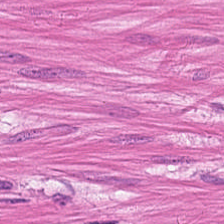Stain: hematoxylin-and-eosin stained section.
Tile size: 224×224 pixel tile.
Acquisition: brightfield microscopy.
Tissue type: smooth-muscle tissue.
